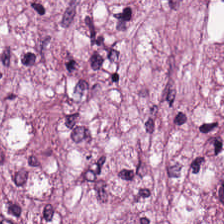Hematoxylin and eosin. Predominant tissue: cancer-associated stroma.
